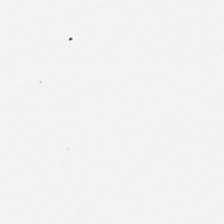Hematoxylin-and-eosin stained section — Field content — background.
